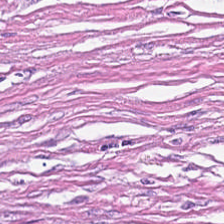Classification = desmoplastic stroma.
